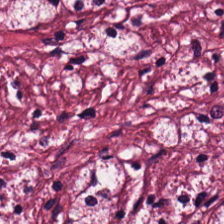0.5 microns per pixel. H&E.
{"tissue_type": "cancer-associated stroma"}
